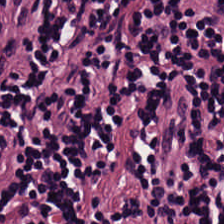Hematoxylin and eosin. Q: What is shown in this field?
A: Lymphocytes.
